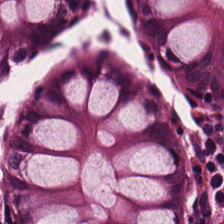Hematoxylin-and-eosin stained section.
Non-neoplastic colon mucosa.
